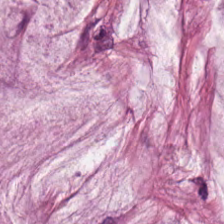Histology → mucin.
